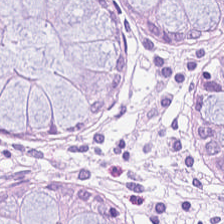Tissue class: non-neoplastic colon mucosa.
